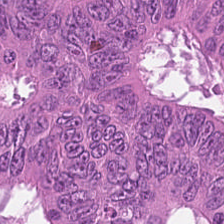Hematoxylin-and-eosin stained section. Predominant tissue — malignant epithelium.
